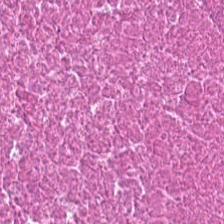0.5 µm per pixel · H&E stain. The tissue here is debris.
